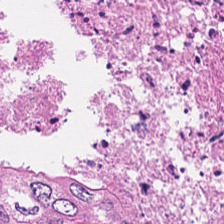Hematoxylin and eosin. 0.5 microns per pixel. FFPE tissue section.
{"tissue_type": "necrotic debris"}
